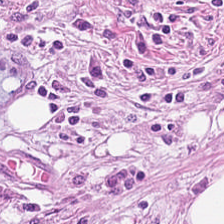Hematoxylin-and-eosin stained section — This patch shows desmoplastic stroma.
